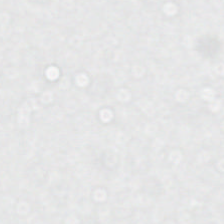Hematoxylin and eosin; 0.5 µm per pixel — This patch shows background.
